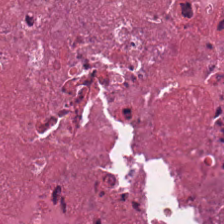H&E-stained tissue section · 0.5 µm/px — Predominantly cellular debris.
